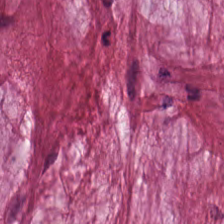H&E stain. Classification: mucin.
